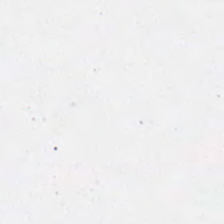Field content = no tissue.
